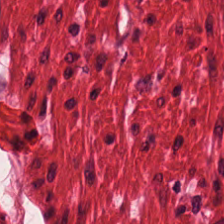Hematoxylin and eosin. 0.5 µm per pixel. Predominantly smooth muscle.
